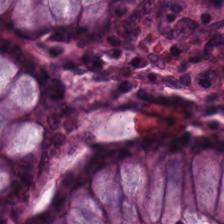H&E stain; FFPE; 0.5 µm per pixel — Finding — non-neoplastic colon mucosa.
